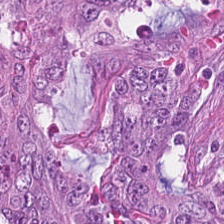Hematoxylin and eosin.
The predominant tissue is colorectal adenocarcinoma epithelium.
